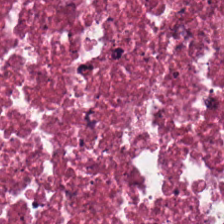Histology — debris.
